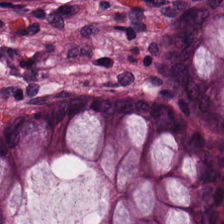Showing benign colonic mucosa.
